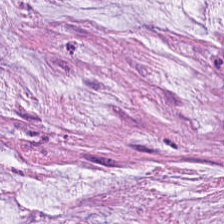Stain: H&E stain.
Predominant tissue: mucus.
